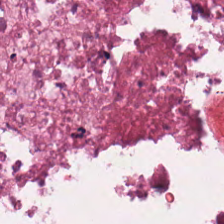H&E-stained tissue section.
The predominant tissue is necrotic debris.
